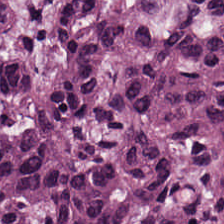H&E stain.
The predominant tissue is tumor epithelium.
